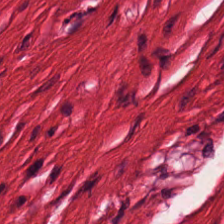H&E-stained section; the field shows muscularis.
